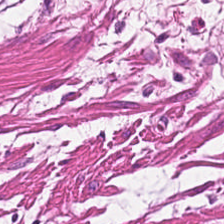Hematoxylin-and-eosin section: smooth muscle.
